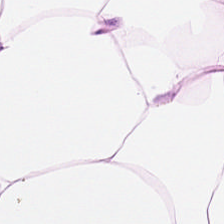Hematoxylin and eosin.
Tissue class — adipose tissue.
